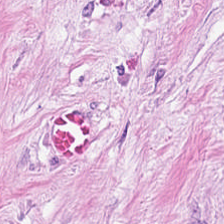Hematoxylin-and-eosin stained section — Showing cancer-associated stroma.
